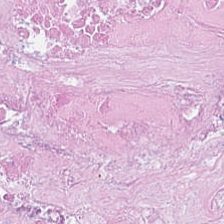224×224 px patch; H&E-stained tissue section — This field is cellular debris.
